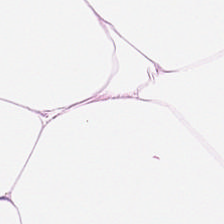H&E-stained tissue section — Fat tissue.
